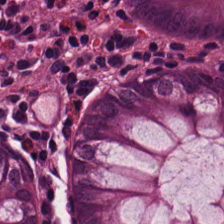20× equivalent magnification; H&E-stained tissue section. Tissue — normal colon mucosa.
